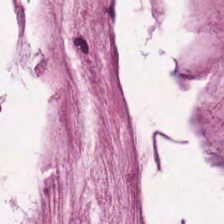Hematoxylin and eosin · brightfield microscopy. Histology → mucin.
